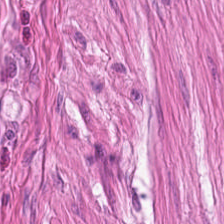This field is smooth muscle.
